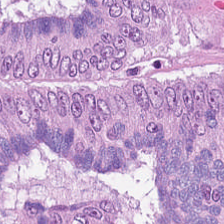H&E stain. Whole-slide-image patch. 224×224 px tile — Classification — malignant epithelium.
